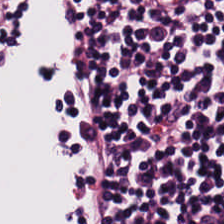H&E-stained tissue section showing lymphocyte aggregate.
